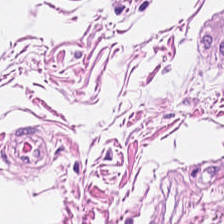WSI patch; H&E-stained tissue section. Tissue type = smooth-muscle tissue.
